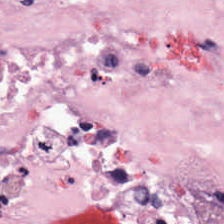Cancer-associated stroma.
